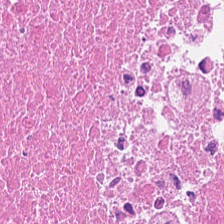Classification — cellular debris.
